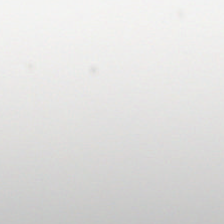FFPE tissue section · H&E.
Empty field — empty background.
